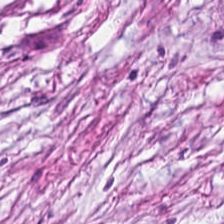{"tissue_type": "desmoplastic stroma"}
